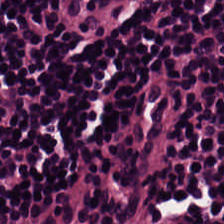Q: Identify the tissue.
A: The field shows lymphocyte aggregate.
